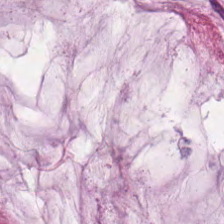Hematoxylin and eosin. Predominantly mucin.
